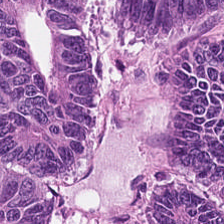Hematoxylin and eosin — The predominant tissue is tumor epithelium.
